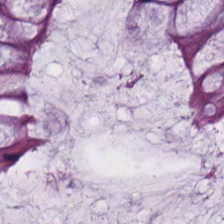FFPE. H&E-stained tissue section. 0.5 µm per pixel — This field is normal colonic mucosa.
